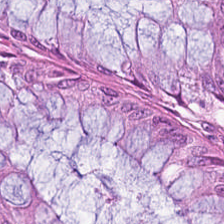Tissue class = normal colonic mucosa.
